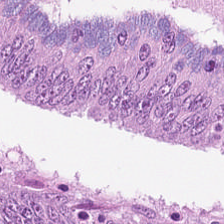Impression — colorectal adenocarcinoma epithelium.
